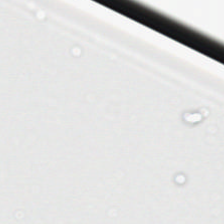No tissue.
